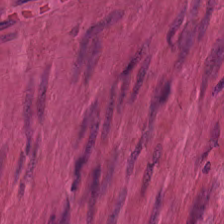The tissue here is muscularis.
